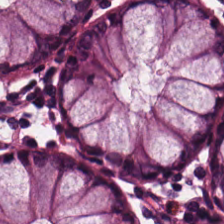The predominant tissue is normal colon mucosa.
